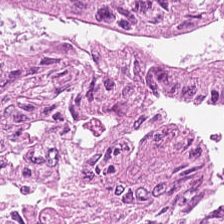Stain: hematoxylin-and-eosin stained section.
Classification: colorectal adenocarcinoma.
